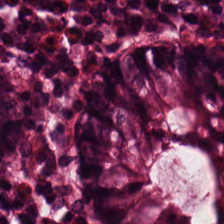H&E patch showing benign colonic mucosa.
